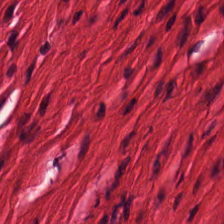Tissue: smooth muscle.
